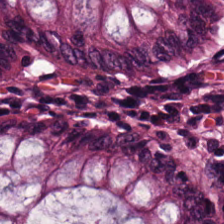Tissue class: non-neoplastic colon mucosa.
